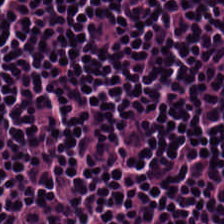H&E — Tissue class = lymphoid infiltrate.
